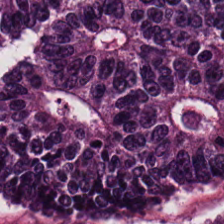H&E stain — Showing malignant epithelium.
